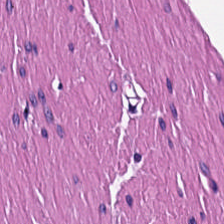H&E-stained tissue section. Predominantly smooth-muscle tissue.
